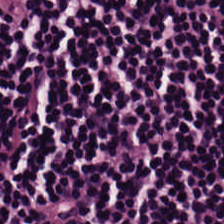Q: What tissue type is shown here?
A: The field shows lymphocytic infiltrate.
